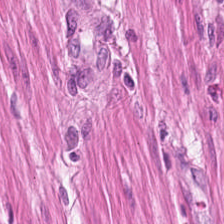Stain: hematoxylin-and-eosin stained section.
Tile size: 224×224 px tile.
Tissue type: smooth-muscle tissue.
